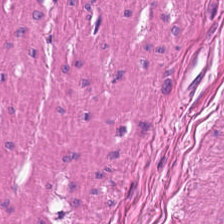Stain: H&E-stained tissue section.
Resolution: 0.5 microns per pixel.
Predominant tissue: smooth-muscle tissue.
